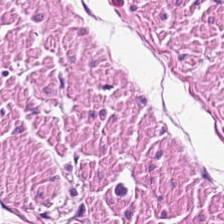H&E · FFPE.
Q: What is shown in this field?
A: Smooth-muscle tissue.
